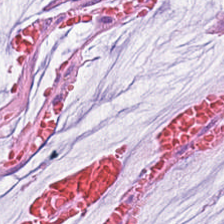Tissue class — extracellular mucin.
